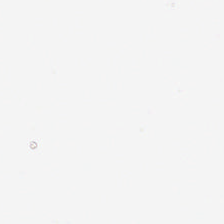Stain: hematoxylin and eosin.
Resolution: 0.5 µm/px.
Field content: no tissue.
